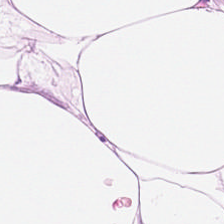Stain: hematoxylin-and-eosin stained section.
Classification: adipose tissue.
